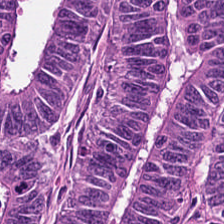This field is malignant epithelium.
